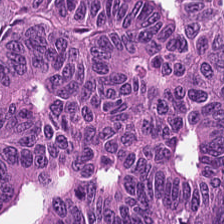0.5 µm per pixel · whole-slide-image patch · H&E. Histology → adenocarcinoma.
